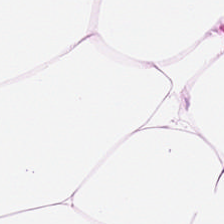Showing adipose tissue.
